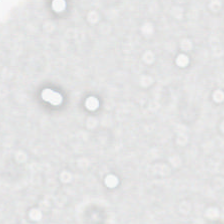H&E-stained tissue section.
Background (no tissue).
